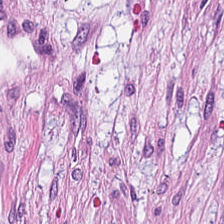H&E-stained section; the field shows cancer-associated stroma.
